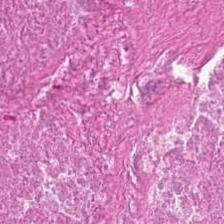Q: What is the predominant tissue type?
A: This is cellular debris.
